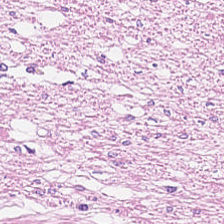H&E-stained tissue section · 0.5 µm per pixel · 224×224 px tile. The tissue here is smooth muscle.
